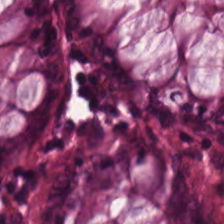Hematoxylin and eosin — Tissue type — non-neoplastic colon mucosa.
